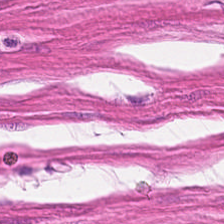Stain: H&E stain.
Classification: smooth muscle.
